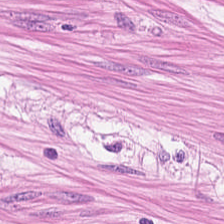This field is muscularis.
